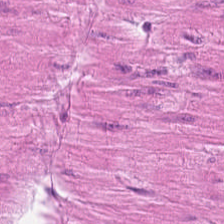H&E-stained tissue section — Predominantly smooth-muscle tissue.
